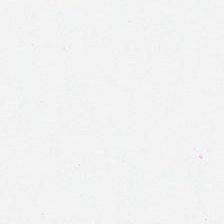Stain: H&E.
Content: background.
